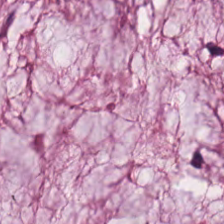H&E; brightfield. Showing mucin.
